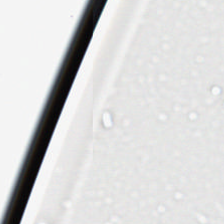H&E — No tissue present; background only.
